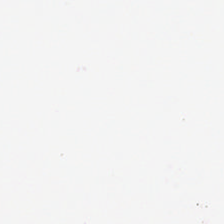Hematoxylin-and-eosin stained section.
Finding — background (no tissue).
